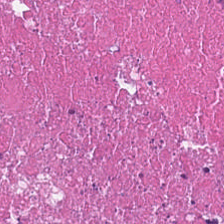Hematoxylin-and-eosin stained section.
This patch shows debris.
